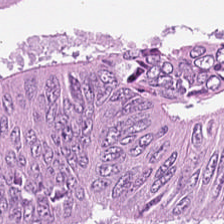H&E-stained tissue section. Whole-slide-image patch — Tissue type: tumor epithelium.
